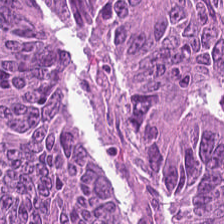H&E stain; FFPE — The tissue here is colorectal adenocarcinoma.
